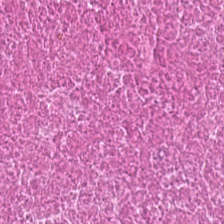Hematoxylin-and-eosin section: cellular debris.
